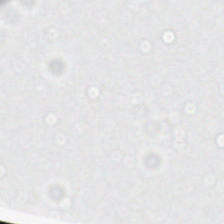H&E stain — Background — no tissue in this field.
